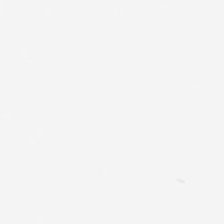Hematoxylin and eosin. Formalin-fixed paraffin-embedded section. 0.5 µm per pixel.
Content = background (no tissue).
